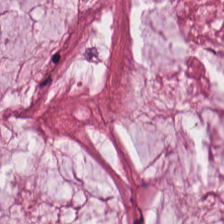Hematoxylin and eosin.
Predominant tissue = mucus.
